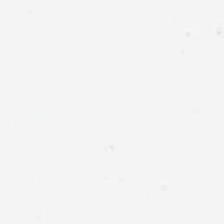0.5 µm per pixel; H&E-stained tissue section; 224×224 px tile. {"content": "empty background"}
